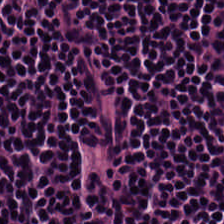Hematoxylin-and-eosin stained section — Tissue class = lymphocyte aggregate.
